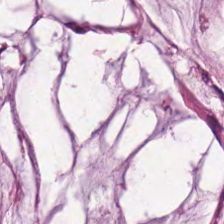H&E.
Classification: extracellular mucin.
